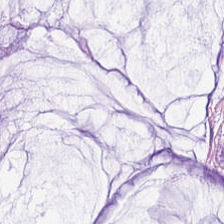Extracellular mucin.
